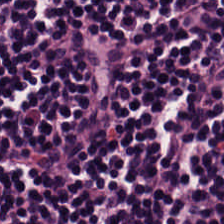Brightfield microscopy. Hematoxylin-and-eosin stained section. Classification = lymphocytes.
